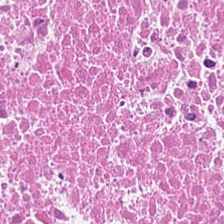Stain: hematoxylin and eosin.
Tissue class: necrotic debris.
